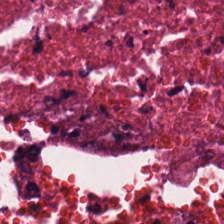Finding → debris.
